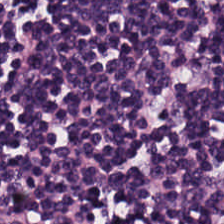H&E stain. 224×224 pixel tile.
Impression → lymphocytic infiltrate.
